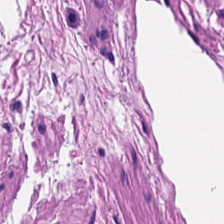H&E-stained tissue section — {"tissue_type": "smooth-muscle tissue"}
